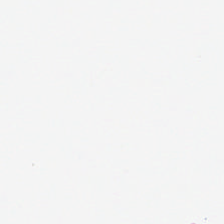H&E · WSI patch · 224×224 px tile — The content is no tissue.
